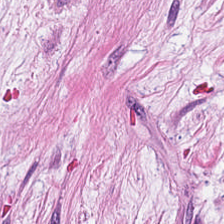H&E; FFPE; 224×224 pixel tile. This field is tumor-associated stroma.
